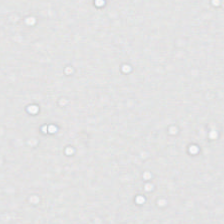H&E. Empty field — background (no tissue).
